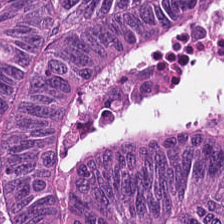Showing adenocarcinoma.
